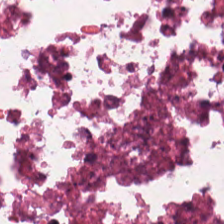0.5 µm per pixel; hematoxylin-and-eosin stained section; 224×224 pixel tile — This field is cellular debris.
